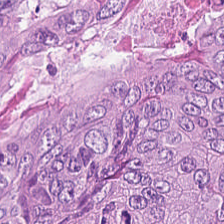H&E — Finding — adenocarcinoma.
